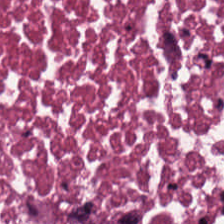Hematoxylin and eosin — Q: What tissue type is shown here?
A: This is debris.
